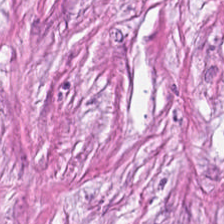H&E-stained tissue section · FFPE tissue section — Histology → tumor-associated stroma.
